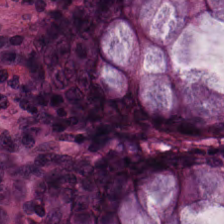Stain: hematoxylin-and-eosin stained section.
Predominant tissue: normal colon mucosa.
